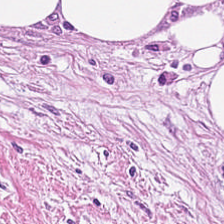H&E-stained tissue section.
Tissue class — desmoplastic stroma.
